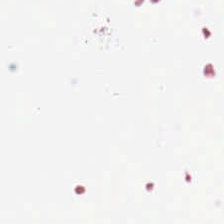FFPE. Hematoxylin-and-eosin stained section.
Q: What is shown here?
A: This is background.
